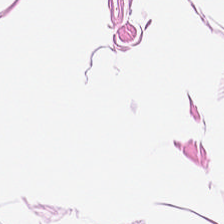H&E — adipocytes.
